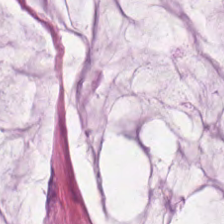H&E-stained tissue section · WSI patch · 20× equivalent magnification. Tissue type = mucus.
